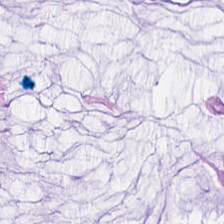Hematoxylin-and-eosin stained section. This field is extracellular mucin.
